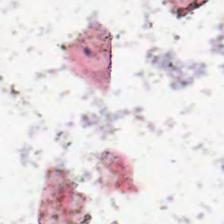H&E-stained tissue section. Field content: background.
